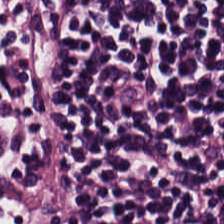Hematoxylin and eosin. This patch shows lymphocyte aggregate.
